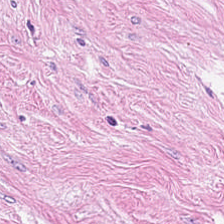WSI patch; hematoxylin and eosin.
The tissue here is tumor stroma.
